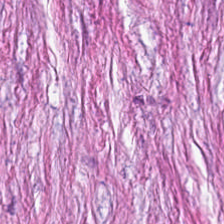Stain: hematoxylin-and-eosin stained section.
Tissue: tumor-associated stroma.
